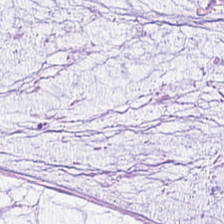The tissue type is mucus.
